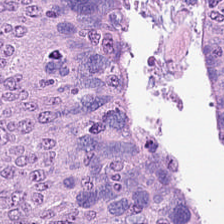H&E stain. The tissue here is adenocarcinoma.
